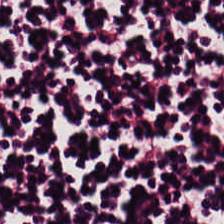The tissue class is lymphoid infiltrate.
